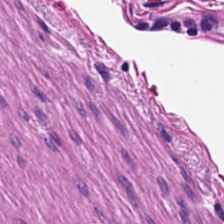Stain: H&E.
Tissue: smooth-muscle tissue.
